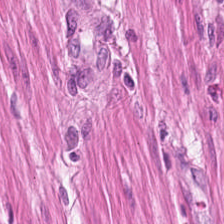Brightfield microscopy · H&E. Showing smooth muscle.
